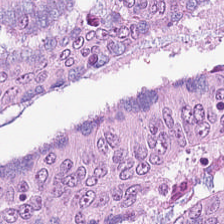0.5 microns per pixel. FFPE tissue section. Hematoxylin and eosin.
The predominant tissue is adenocarcinoma.
